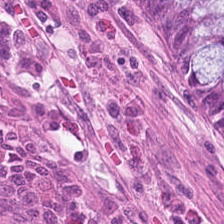Brightfield. H&E stain. 224×224 px tile. Tissue type — benign colonic mucosa.
